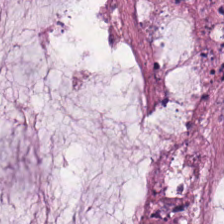Brightfield · H&E stain · 224×224 pixel tile — Q: Classify this patch.
A: This is extracellular mucin.
